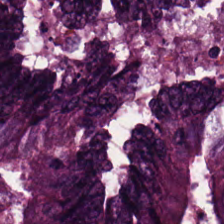20× equivalent magnification; H&E-stained tissue section.
Predominantly colorectal adenocarcinoma.
